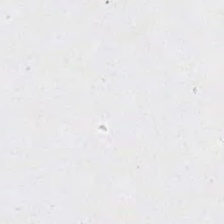Hematoxylin and eosin. Background — no tissue in this field.
